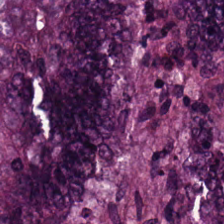Brightfield microscopy; 0.5 microns per pixel; H&E stain — The tissue type is tumor epithelium.
